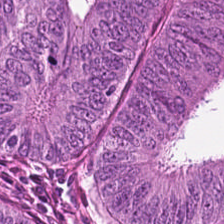0.5 microns per pixel; hematoxylin-and-eosin stained section. Predominantly malignant epithelium.
